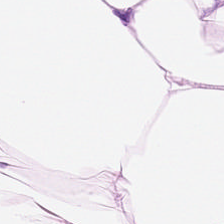224×224 pixel tile · hematoxylin and eosin · 0.5 µm per pixel — This field is fat tissue.
